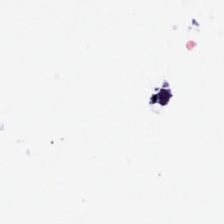224×224 px patch. Hematoxylin and eosin.
The content is background (no tissue).
